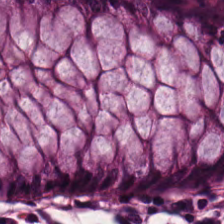H&E-stained tissue section · 0.5 µm/px. Impression — non-neoplastic colon mucosa.
